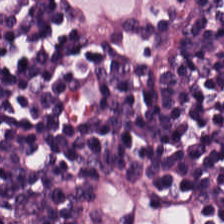H&E stain — This field is lymphocytes.
